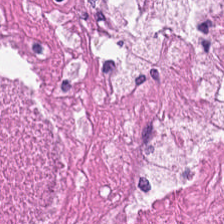Tissue — debris.
